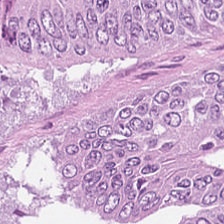H&E stain · brightfield — Q: Classify this patch.
A: Colorectal adenocarcinoma epithelium.
